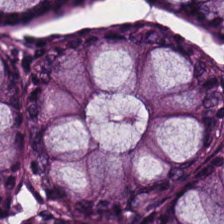20× equivalent magnification. H&E stain. Formalin-fixed paraffin-embedded section.
This patch shows normal colon mucosa.
